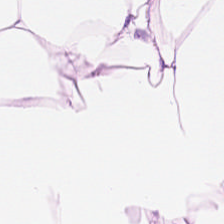H&E-stained section; the field shows adipocytes.
